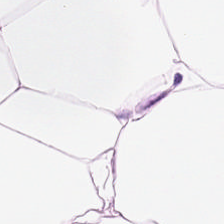H&E-stained tissue section; FFPE tissue section — Adipose tissue.
